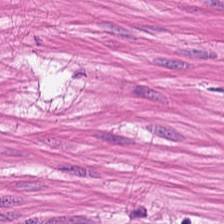Hematoxylin and eosin.
This field is muscularis.
